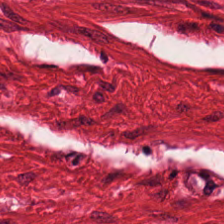H&E — smooth muscle.
